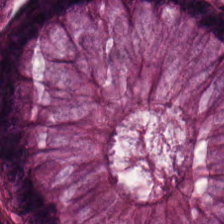Tissue type: benign colonic mucosa.
